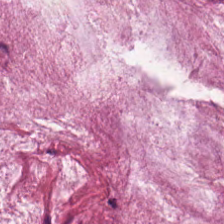H&E — mucin.
